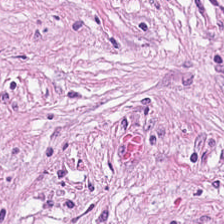Hematoxylin-and-eosin stained section — Q: What tissue is shown?
A: It is cancer-associated stroma.
